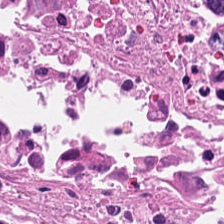FFPE · hematoxylin-and-eosin stained section · 224×224 pixel tile — Predominantly necrotic debris.
